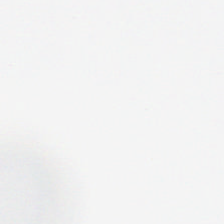{"content": "no tissue"}
